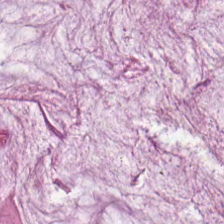Predominantly mucin.
